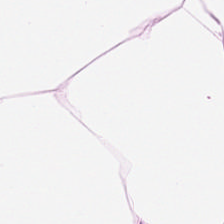Stain: hematoxylin-and-eosin stained section.
Preparation: formalin-fixed paraffin-embedded section.
Resolution: 0.5 microns per pixel.
Tissue class: fat tissue.
